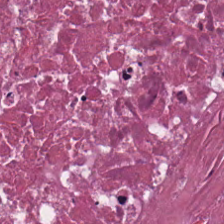Formalin-fixed paraffin-embedded section · H&E-stained tissue section. This patch shows necrotic debris.
